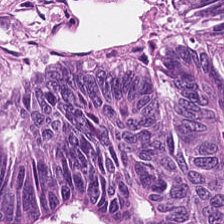224×224 px patch · H&E stain — The tissue here is colorectal adenocarcinoma epithelium.
